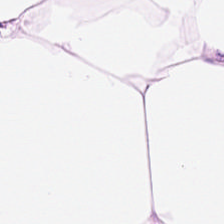H&E; FFPE; 0.5 µm per pixel — Predominantly fat tissue.
